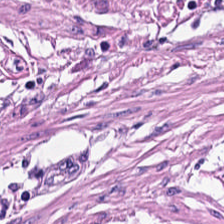Hematoxylin and eosin · 0.5 µm per pixel · 224×224 px patch — Classification = smooth muscle.
